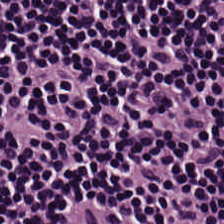0.5 µm/px · hematoxylin and eosin. This patch shows lymphocytes.
